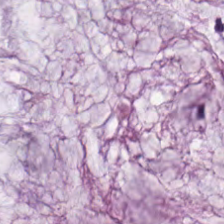Tissue class: mucin.
